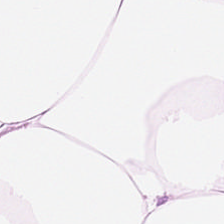Hematoxylin-and-eosin stained section — The predominant tissue is adipocytes.
